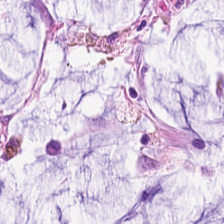H&E — mucin.
